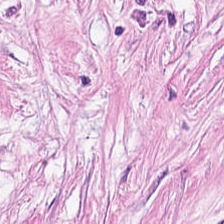H&E-stained tissue section.
This patch shows tumor-associated stroma.
